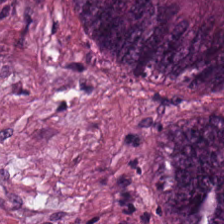H&E.
This field is colorectal adenocarcinoma epithelium.
